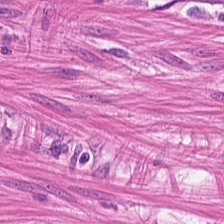Predominantly smooth muscle.
